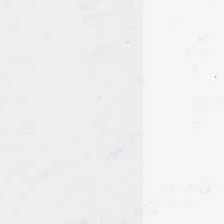Classification: empty background.
